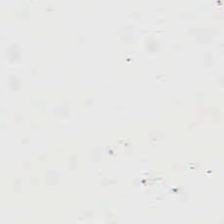H&E-stained tissue section — Background — no tissue in this field.
